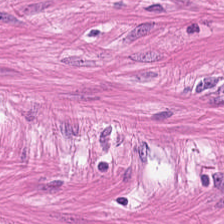Hematoxylin and eosin; 224×224 px tile; formalin-fixed paraffin-embedded section — The tissue class is smooth muscle.
